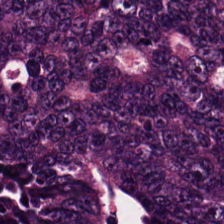H&E.
Showing tumor epithelium.
